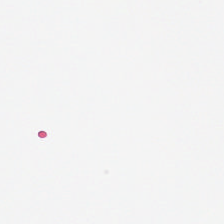Stain: H&E stain.
Classification: background (no tissue).
